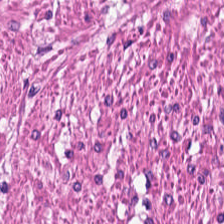FFPE. H&E stain. 224×224 px patch. Predominantly smooth-muscle tissue.
